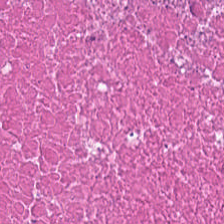H&E-stained tissue section · 224×224 pixel tile.
This field is cellular debris.
